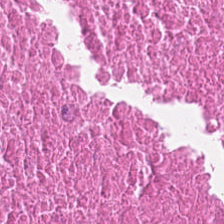Formalin-fixed paraffin-embedded section; 224×224 px patch; H&E-stained tissue section. Histology → cellular debris.
